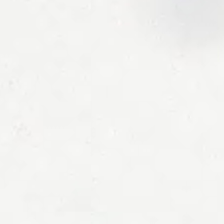Hematoxylin and eosin — No tissue present; background only.
